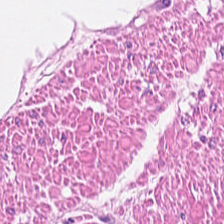Hematoxylin-and-eosin stained section.
Finding — smooth muscle.
